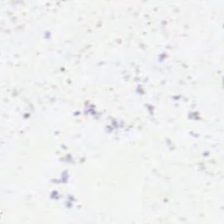Stain: hematoxylin and eosin.
Tile size: 224×224 px patch.
Resolution: 0.5 microns per pixel.
Classification: background.
